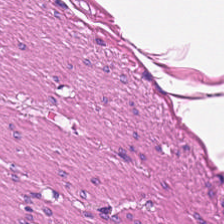Hematoxylin and eosin; 0.5 µm/px.
Q: What tissue is shown?
A: Smooth muscle.
